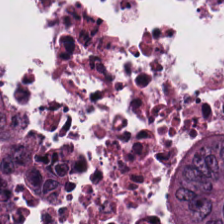Hematoxylin and eosin. 224×224 px patch. The tissue here is colorectal adenocarcinoma epithelium.
